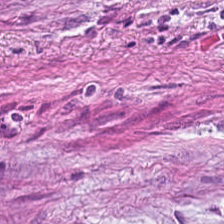H&E-stained tissue section.
Q: What is the predominant tissue type?
A: This is tumor stroma.
